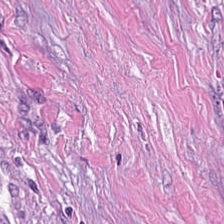WSI patch · hematoxylin and eosin · 224×224 px tile — Predominantly tumor-associated stroma.
